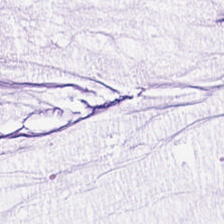FFPE · H&E.
{"tissue_type": "mucin"}
